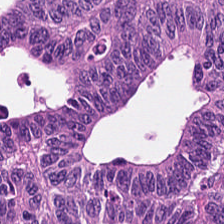H&E stain; 0.5 µm/px.
The tissue is colorectal adenocarcinoma epithelium.
